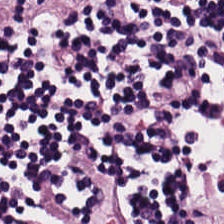H&E-stained tissue section · 0.5 microns per pixel — This patch shows lymphocyte aggregate.
